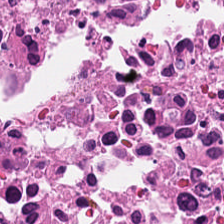Hematoxylin-and-eosin stained section — The predominant tissue is cellular debris.
